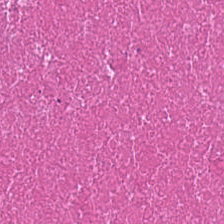FFPE. 224×224 pixel tile. Hematoxylin-and-eosin stained section. Showing debris.
